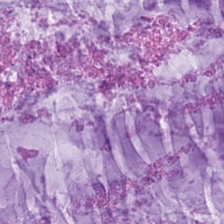Impression — mucus.
